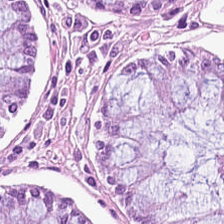H&E-stained tissue section — Showing normal colonic mucosa.
